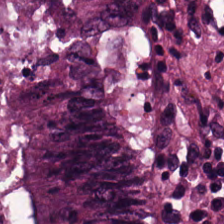H&E-stained tissue section. Predominant tissue: adenocarcinoma.
